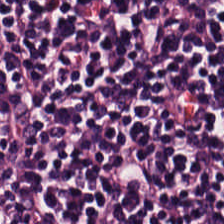Predominantly lymphocytes.
